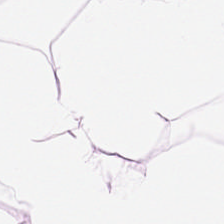Hematoxylin and eosin.
{"tissue_type": "adipocytes"}
